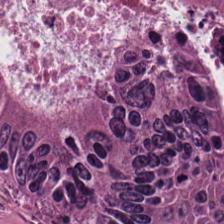Hematoxylin-and-eosin stained section. Q: What tissue is shown?
A: The field shows colorectal adenocarcinoma.
